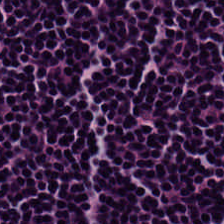Histology — lymphoid infiltrate.
